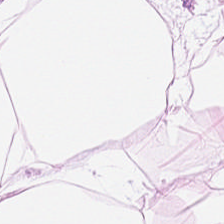Formalin-fixed paraffin-embedded section · hematoxylin and eosin — The tissue here is adipocytes.
